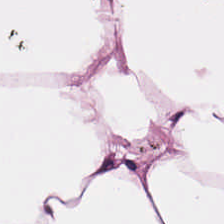This patch shows adipose tissue.
